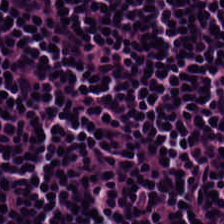Hematoxylin and eosin. Histology — lymphoid infiltrate.
